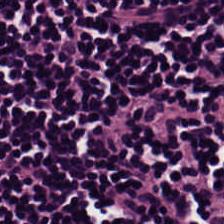FFPE tissue section. 0.5 µm per pixel. Hematoxylin-and-eosin stained section. {"tissue_type": "lymphocytic infiltrate"}
